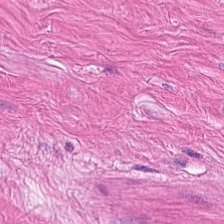Hematoxylin and eosin.
{"tissue_type": "smooth-muscle tissue"}
